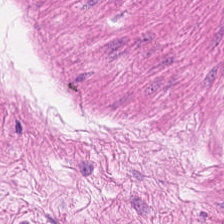H&E; 0.5 microns per pixel; 224×224 pixel tile — Tissue: muscularis.
